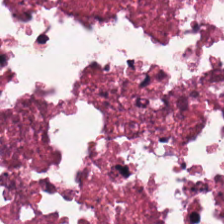Tissue — necrotic debris.
